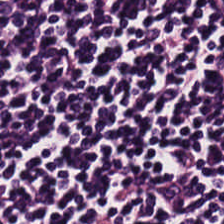H&E — Lymphoid infiltrate.
